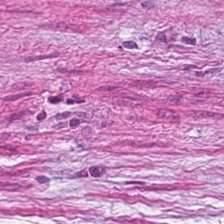Stain: H&E.
Classification: tumor-associated stroma.
